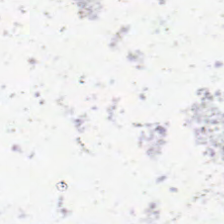H&E stain — Empty field — background.
